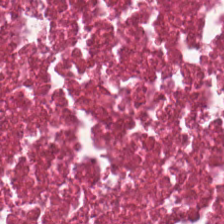224×224 pixel tile. Hematoxylin and eosin — The tissue here is necrotic debris.
